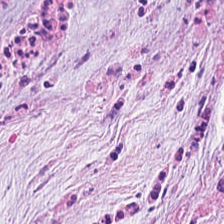Stain: H&E-stained tissue section.
Acquisition: WSI patch.
Resolution: 0.5 microns per pixel.
Tissue type: cancer-associated stroma.
